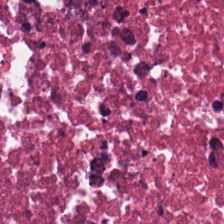H&E-stained tissue section.
This patch shows debris.
